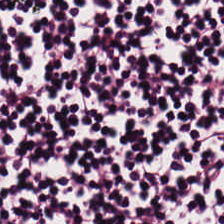Stain: H&E.
Tissue class: lymphocytes.
